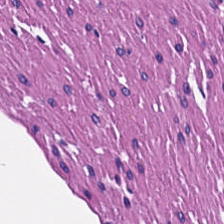Hematoxylin and eosin · 224×224 px tile. This field is smooth-muscle tissue.
